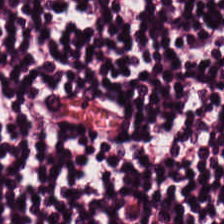H&E · 224×224 px tile.
This patch shows lymphocyte aggregate.
